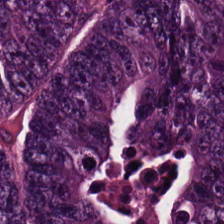Stain: hematoxylin and eosin.
Predominant tissue: colorectal adenocarcinoma epithelium.
